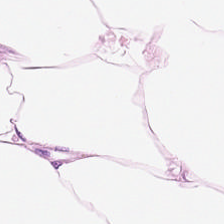FFPE · H&E stain · whole-slide-image patch.
Predominant tissue — adipocytes.
